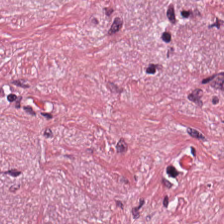Classification — cancer-associated stroma.
